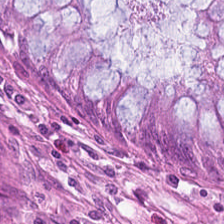FFPE tissue section. Hematoxylin-and-eosin stained section. Brightfield microscopy.
This patch shows benign colonic mucosa.
